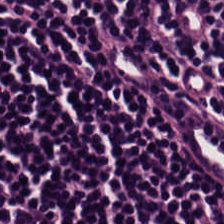0.5 µm per pixel; hematoxylin and eosin; formalin-fixed paraffin-embedded section.
Histology → lymphocytic infiltrate.
